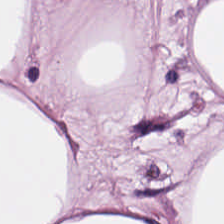224×224 pixel tile · H&E-stained tissue section.
Predominantly adipose tissue.
